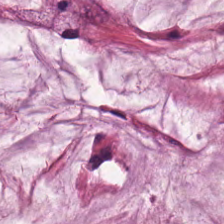Hematoxylin and eosin; 0.5 microns per pixel.
Tissue — extracellular mucin.
